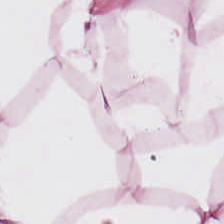Hematoxylin and eosin · 0.5 microns per pixel.
Q: Classify this patch.
A: This is fat tissue.
